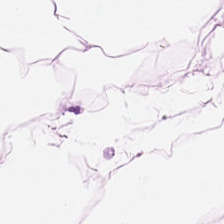H&E-stained tissue section. Q: What is shown in this field?
A: It is adipose.
